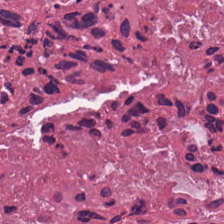Hematoxylin and eosin. {"tissue_type": "necrotic debris"}
